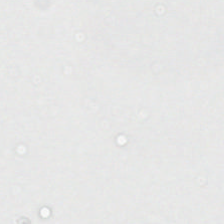Hematoxylin and eosin. Empty field — no tissue.
